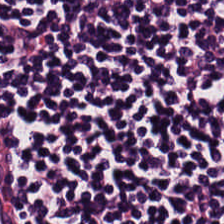0.5 microns per pixel · H&E · formalin-fixed paraffin-embedded section. Histology → lymphoid infiltrate.
